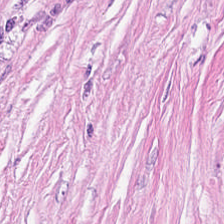Hematoxylin and eosin; whole-slide-image patch.
{"tissue_type": "cancer-associated stroma"}
